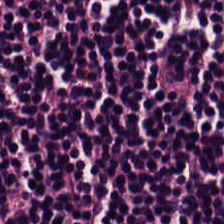H&E stain. Tissue class — lymphocytic infiltrate.
